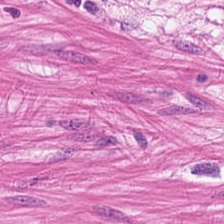H&E; FFPE tissue section — Classification — smooth muscle.
